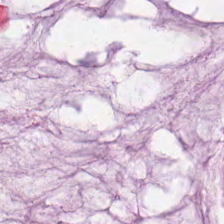H&E stain — Finding → extracellular mucin.
